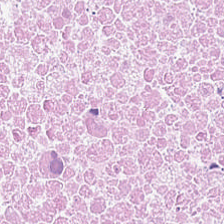H&E — Tissue type = debris.
